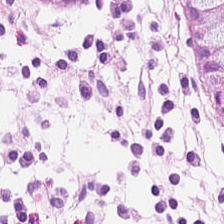Hematoxylin and eosin.
This field is normal colonic mucosa.
